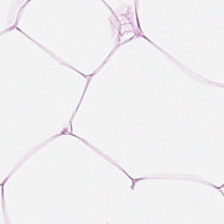224×224 pixel tile; hematoxylin-and-eosin stained section — This field is fat tissue.
